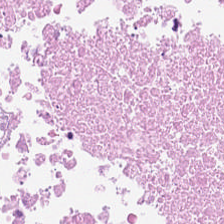Q: What is the predominant tissue type?
A: Cellular debris.
